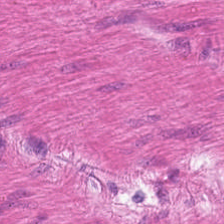H&E stain.
Tissue type = smooth-muscle tissue.
